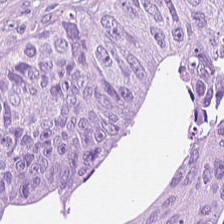Hematoxylin and eosin. Predominantly tumor epithelium.
